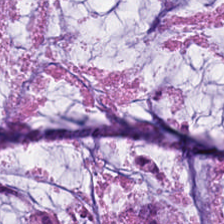20× equivalent magnification. Hematoxylin and eosin.
Mucin.
